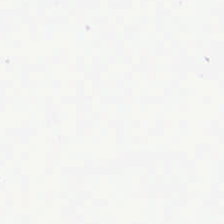H&E-stained tissue section; 224×224 px tile — Field content = no tissue.
